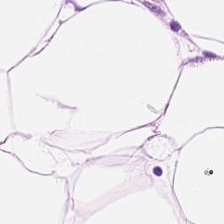Hematoxylin and eosin — This field is fat tissue.
